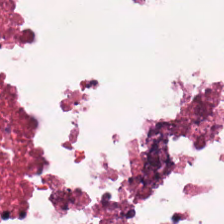FFPE tissue section · H&E stain · whole-slide-image patch — {"tissue_type": "cellular debris"}
